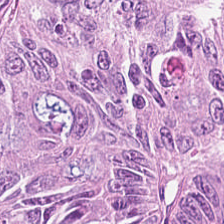Q: What is shown here?
A: Colorectal adenocarcinoma epithelium.
